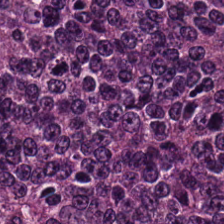Hematoxylin and eosin.
The predominant tissue is malignant epithelium.
